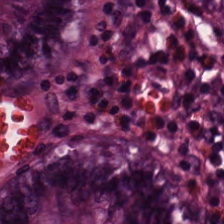H&E-stained tissue section · 224×224 px tile · 20× equivalent magnification.
Predominantly normal colon mucosa.
